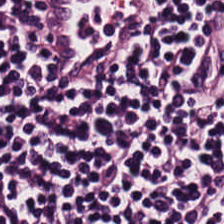H&E stain — Q: What is the predominant tissue type?
A: The field shows lymphocyte aggregate.
